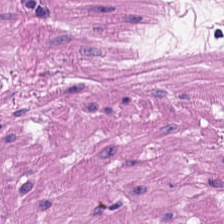Muscularis.
